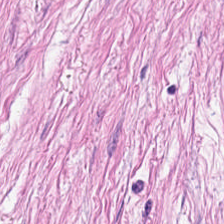224×224 pixel tile · brightfield microscopy · H&E. Showing tumor stroma.
